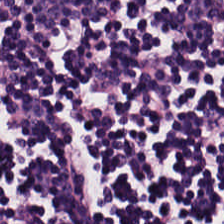Brightfield microscopy; H&E stain — Tissue type — lymphocytes.
